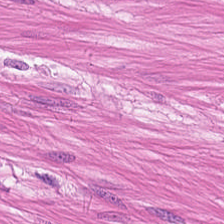H&E-stained tissue section — This field is smooth muscle.
